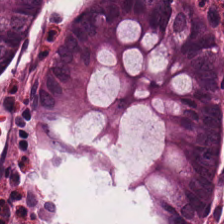Stain: hematoxylin and eosin.
Tissue: normal colon mucosa.
